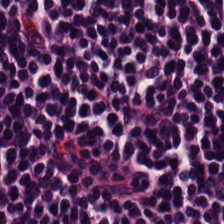Stain: hematoxylin-and-eosin stained section.
Classification: lymphocytic infiltrate.
